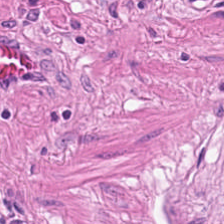H&E stain · FFPE.
This field is smooth muscle.
